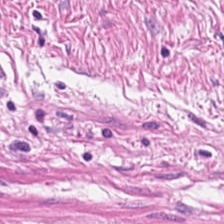H&E patch showing smooth-muscle tissue.
